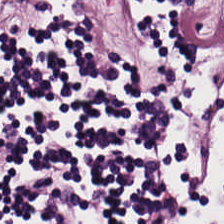Hematoxylin-and-eosin stained section.
Q: What does this patch show?
A: The field shows lymphocytes.
